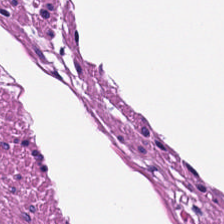20× equivalent magnification. H&E-stained tissue section — {"tissue_type": "muscularis"}
